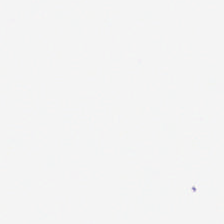Stain: H&E stain.
Content: empty background.
